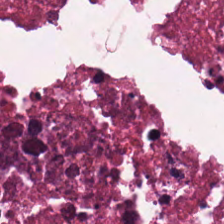FFPE tissue section · WSI patch · H&E stain.
This field is cellular debris.
